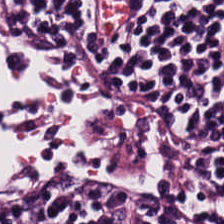Hematoxylin and eosin.
Finding — lymphocytes.
